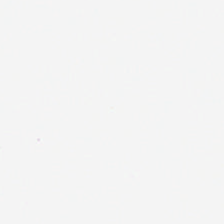H&E; 224×224 px tile.
This field is background (no tissue).
